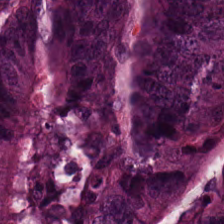Impression — colorectal adenocarcinoma.
